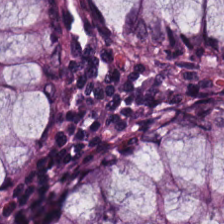20× equivalent magnification; hematoxylin and eosin.
Classification — normal colonic mucosa.
